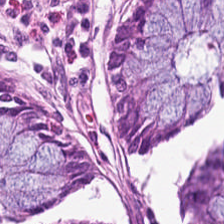H&E-stained tissue section. Brightfield microscopy — Q: What is shown here?
A: The field shows benign colonic mucosa.
